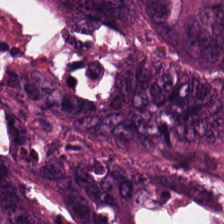Hematoxylin and eosin.
Tissue class = malignant epithelium.
